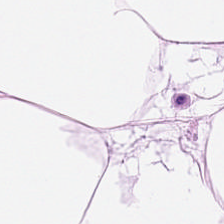Predominant tissue = adipose.
